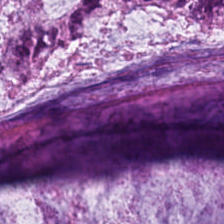Hematoxylin-and-eosin stained section — Classification = extracellular mucin.
